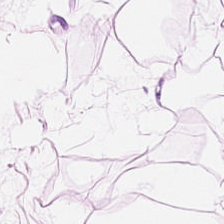H&E stain.
Q: Identify the tissue.
A: Adipose tissue.
